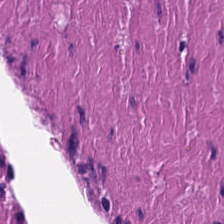H&E.
Predominantly smooth-muscle tissue.
